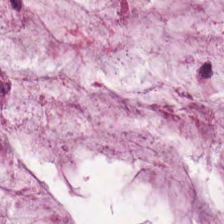Tissue class — mucus.
